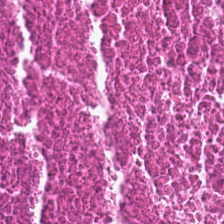Hematoxylin and eosin. Q: What tissue is shown?
A: This is cellular debris.
